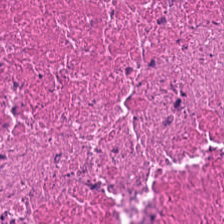H&E-stained tissue section.
Predominantly debris.
